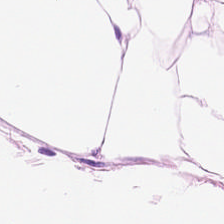0.5 microns per pixel; hematoxylin and eosin.
Q: Classify this patch.
A: Adipose.
